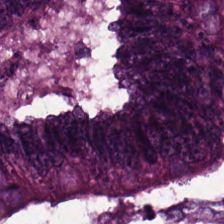0.5 microns per pixel; H&E stain — Predominant tissue: colorectal adenocarcinoma epithelium.
